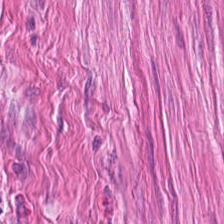H&E-stained section; the field shows smooth muscle.
